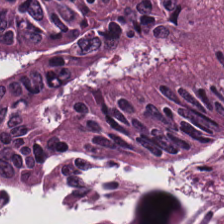H&E-stained tissue section · WSI patch — Predominantly adenocarcinoma.
